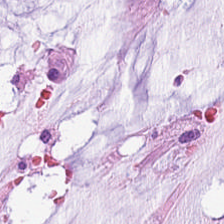Hematoxylin and eosin — The predominant tissue is mucin.
